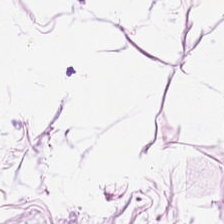The tissue is adipocytes.
